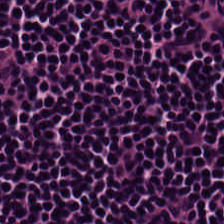Q: Identify the tissue.
A: Lymphocytes.
